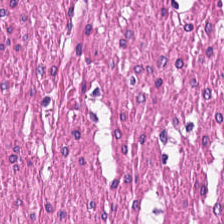H&E. Showing smooth-muscle tissue.
